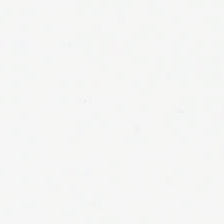Content = no tissue.
